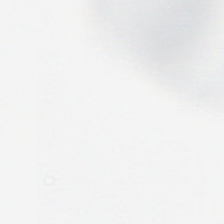Field content: no tissue.
